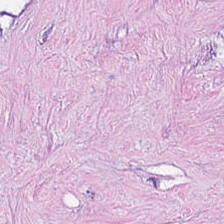Formalin-fixed paraffin-embedded section. H&E-stained tissue section.
This patch shows cellular debris.
